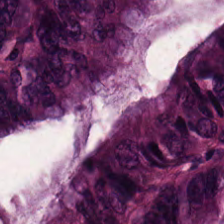H&E — Impression — tumor epithelium.
